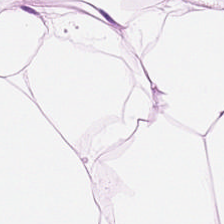Hematoxylin-and-eosin stained section.
Tissue — adipocytes.
